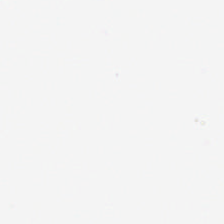Q: What is shown in this field?
A: This is empty background.
